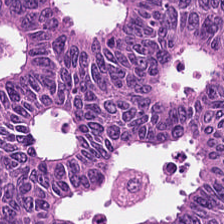H&E. Q: What tissue type is shown here?
A: Tumor epithelium.
